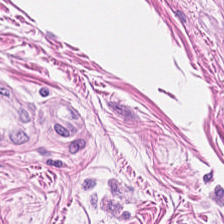Smooth muscle.
